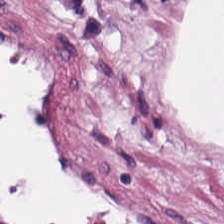This field is adipocytes.
